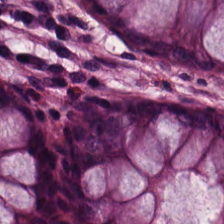H&E-stained tissue section.
Classification: non-neoplastic colon mucosa.
